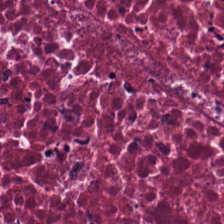224×224 pixel tile; H&E.
Showing cellular debris.
